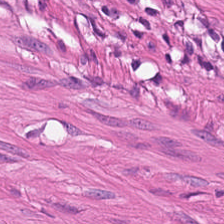224×224 px tile; H&E-stained tissue section. Showing smooth muscle.
